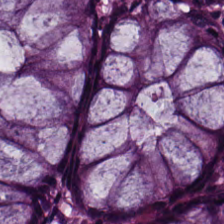H&E-stained tissue section; FFPE tissue section; 224×224 pixel tile. Q: What does this patch show?
A: It is benign colonic mucosa.
